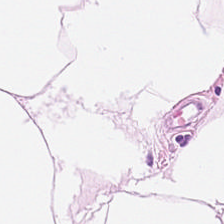224×224 pixel tile; hematoxylin-and-eosin stained section; FFPE tissue section — Predominantly adipose tissue.
